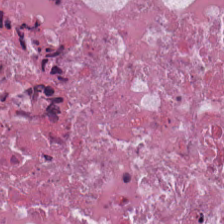Hematoxylin and eosin.
The predominant tissue is cellular debris.
